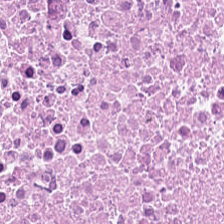Hematoxylin and eosin.
Cellular debris.
